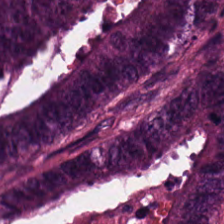Predominant tissue = colorectal adenocarcinoma.
